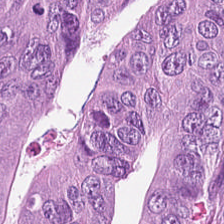Hematoxylin-and-eosin stained section.
The predominant tissue is tumor epithelium.
